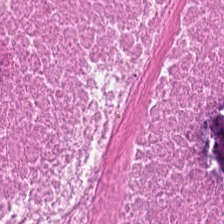H&E-stained tissue section — Classification = necrotic debris.
